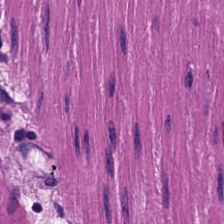Predominant tissue = smooth-muscle tissue.
